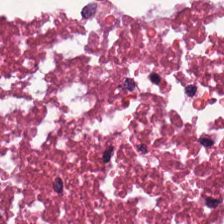Hematoxylin and eosin — Debris.
